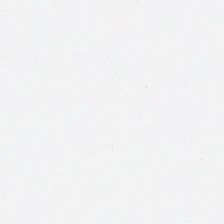H&E stain.
Histology → no tissue.
